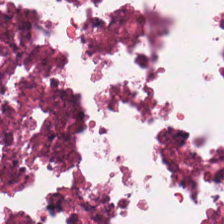H&E.
Predominant tissue: necrotic debris.
